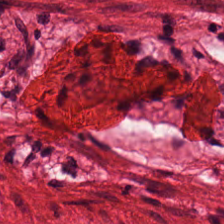H&E-stained tissue section; FFPE tissue section; whole-slide-image patch — Showing smooth muscle.
